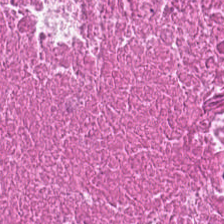Hematoxylin-and-eosin stained section — The tissue type is cellular debris.
